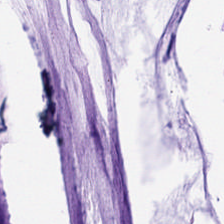Formalin-fixed paraffin-embedded section; H&E stain; 0.5 µm per pixel. Tissue — mucin.
